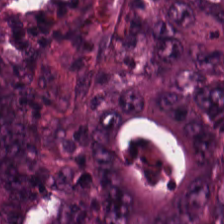H&E-stained tissue section — Q: What does this patch show?
A: This is tumor epithelium.
